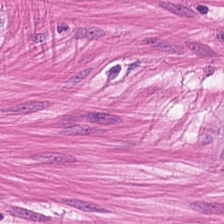H&E-stained tissue section — Smooth muscle.
